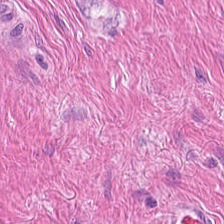Q: What is shown here?
A: Smooth muscle.
